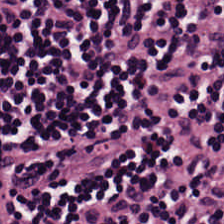H&E.
The tissue is lymphocyte aggregate.
